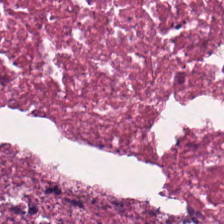Hematoxylin and eosin · formalin-fixed paraffin-embedded section.
Showing debris.
